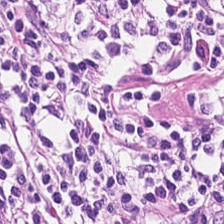Hematoxylin-and-eosin stained section.
Q: What is shown in this field?
A: Lymphocyte aggregate.
